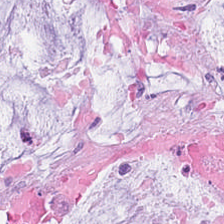Histology — mucus.
